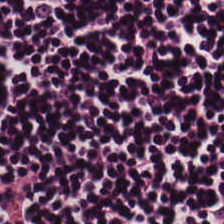Stain: H&E-stained tissue section.
Tile size: 224×224 px tile.
Tissue type: lymphocytic infiltrate.
